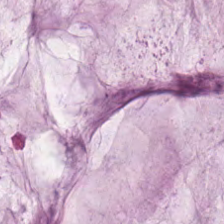Whole-slide-image patch; H&E — Q: What tissue type is shown here?
A: This is mucus.
